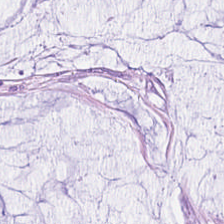H&E stain — Classification — mucin.
